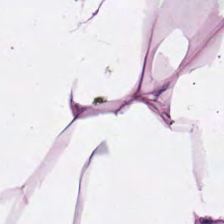Stain: H&E-stained tissue section.
Tissue type: fat tissue.
